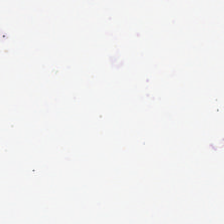{"content": "background (no tissue)"}
